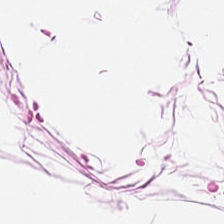Histology → adipose.
